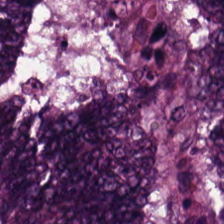The predominant tissue is malignant epithelium.
